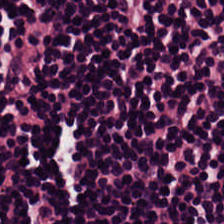Q: Classify this patch.
A: It is lymphocytes.
